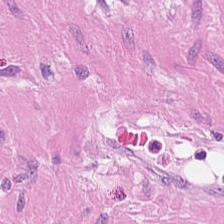Brightfield; H&E-stained tissue section; 0.5 microns per pixel. Tissue = muscularis.
